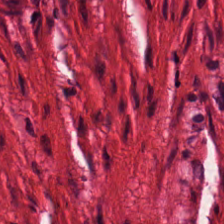Hematoxylin and eosin. 224×224 pixel tile.
This patch shows smooth muscle.
